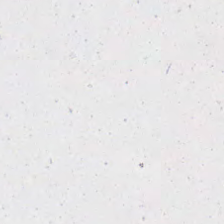224×224 px patch. H&E stain. Background — no tissue in this field.
